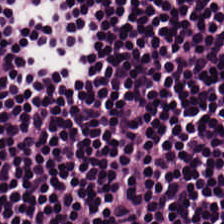Hematoxylin and eosin.
Tissue class = lymphocytes.
